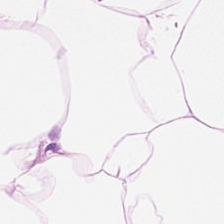Stain: H&E stain.
Preparation: FFPE tissue section.
Acquisition: brightfield.
Tissue type: fat tissue.
